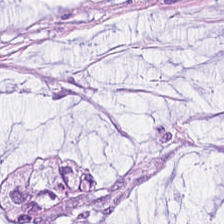Showing mucin.
